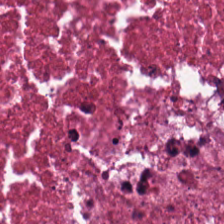Hematoxylin-and-eosin stained section · 224×224 px tile — Showing necrotic debris.
